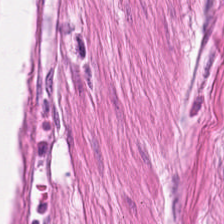Hematoxylin-and-eosin stained section · 224×224 px patch — Q: What type of tissue is this?
A: This is smooth muscle.
